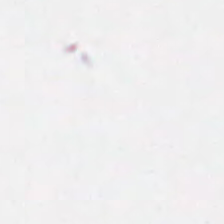0.5 µm per pixel; hematoxylin and eosin. This field is background (no tissue).
